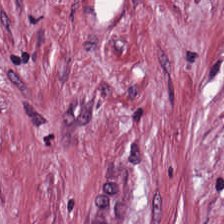224×224 px tile · hematoxylin-and-eosin stained section · brightfield microscopy — Tissue class = tumor-associated stroma.
